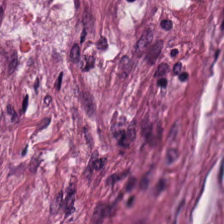H&E stain; 224×224 pixel tile; 0.5 µm per pixel.
The predominant tissue is desmoplastic stroma.
